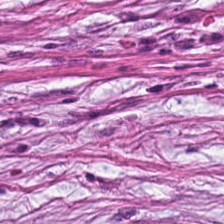H&E stain. Classification = cancer-associated stroma.
